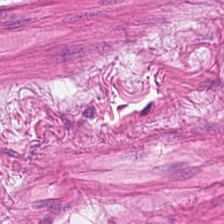Stain: hematoxylin-and-eosin stained section.
Predominant tissue: muscularis.
